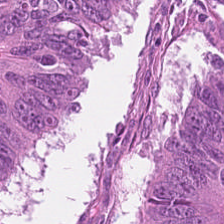Predominant tissue: tumor epithelium.
